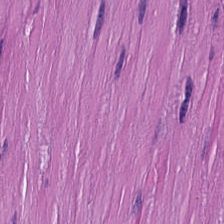Stain: hematoxylin-and-eosin stained section.
Tissue type: smooth muscle.
